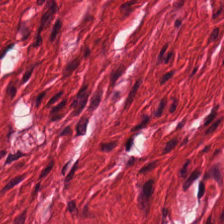H&E-stained tissue section.
Q: Classify this patch.
A: This is smooth-muscle tissue.
